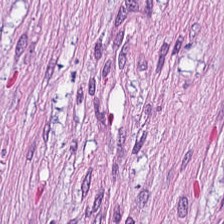224×224 px patch; H&E-stained tissue section.
The predominant tissue is tumor stroma.
